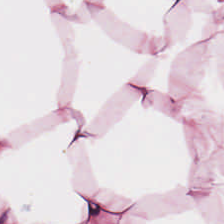Stain: hematoxylin and eosin.
Tissue class: adipocytes.
